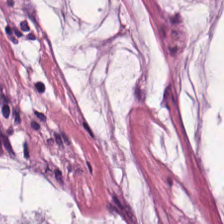H&E — Predominantly extracellular mucin.
